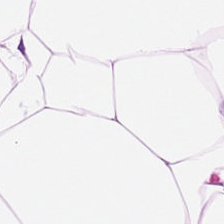Whole-slide-image patch. Hematoxylin-and-eosin stained section. 224×224 pixel tile.
Tissue type: adipocytes.
